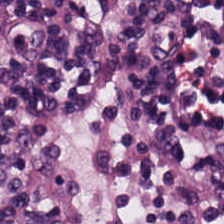224×224 px tile. Formalin-fixed paraffin-embedded section. H&E-stained tissue section. The predominant tissue is lymphocyte aggregate.
